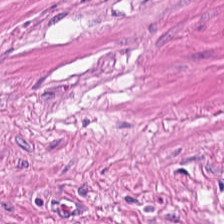FFPE. Hematoxylin and eosin. Histology → muscularis.
